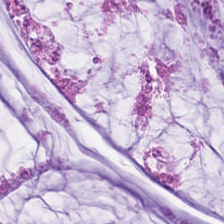H&E-stained tissue section. 224×224 px tile.
Predominantly mucus.
